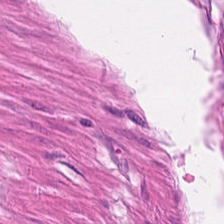Stain: H&E.
Tile size: 224×224 pixel tile.
Acquisition: whole-slide-image patch.
Classification: smooth-muscle tissue.
